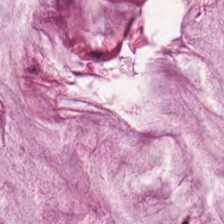224×224 px tile · H&E stain — Mucin.
